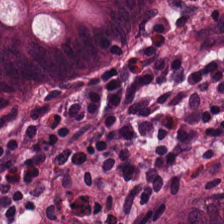Formalin-fixed paraffin-embedded section · hematoxylin and eosin. {"tissue_type": "normal colonic mucosa"}
